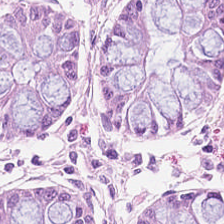Hematoxylin-and-eosin stained section. This patch shows normal colonic mucosa.
